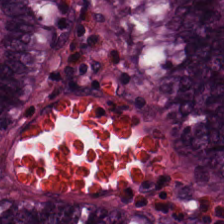The predominant tissue is benign colonic mucosa.
